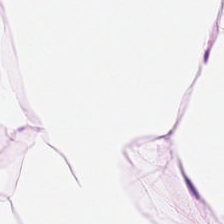H&E; brightfield microscopy; 0.5 µm/px — Impression → adipose tissue.
